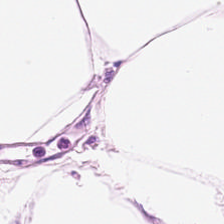Hematoxylin-and-eosin stained section — Showing adipose.
